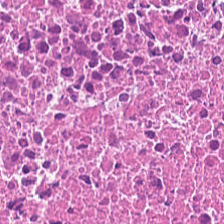H&E stain · 0.5 µm per pixel · 224×224 px patch. The predominant tissue is cellular debris.
